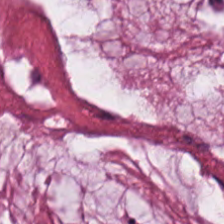H&E stain — Tissue type — mucin.
